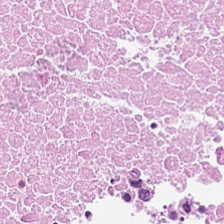H&E stain.
The predominant tissue is debris.
